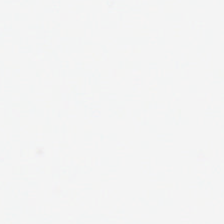H&E — {"content": "empty background"}
